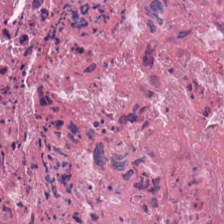Stain: H&E stain.
Tissue type: necrotic debris.
